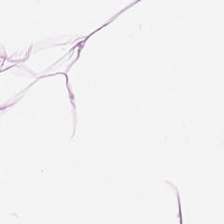Impression — adipocytes.
